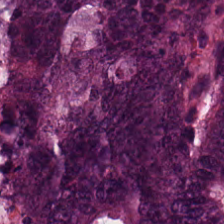Stain: H&E stain.
Preparation: FFPE.
Tissue type: colorectal adenocarcinoma.
